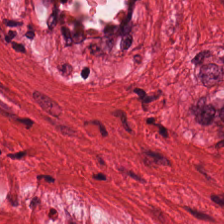H&E-stained section; the field shows smooth-muscle tissue.
